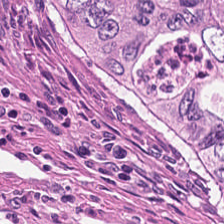0.5 µm per pixel. H&E stain — Showing cellular debris.
